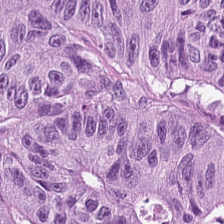Q: What type of tissue is this?
A: Colorectal adenocarcinoma.
